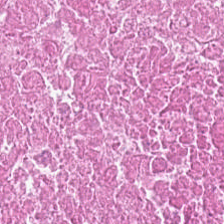H&E — Classification: necrotic debris.
